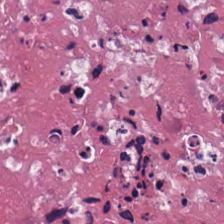Hematoxylin and eosin. WSI patch. FFPE. This field is necrotic debris.
